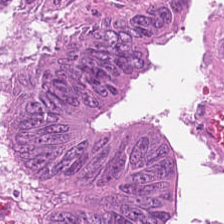0.5 microns per pixel · hematoxylin-and-eosin stained section. Adenocarcinoma.
